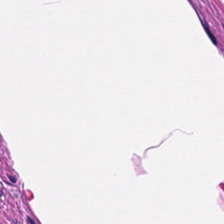H&E; 0.5 microns per pixel — This patch shows smooth-muscle tissue.
